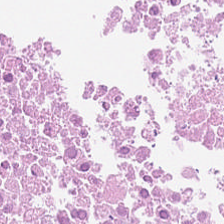H&E stain; formalin-fixed paraffin-embedded section; brightfield. Classification — necrotic debris.
